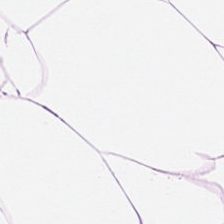Hematoxylin-and-eosin stained section — This patch shows fat tissue.
